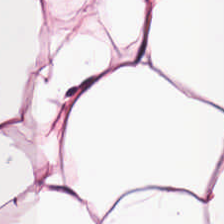Hematoxylin and eosin. Q: What is shown in this field?
A: Adipocytes.
